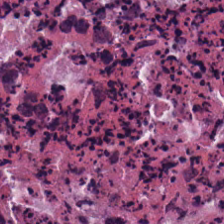Brightfield. 224×224 pixel tile. Hematoxylin-and-eosin stained section — Q: What is shown here?
A: The field shows necrotic debris.
